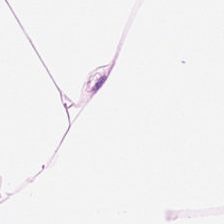Hematoxylin and eosin.
Finding — fat tissue.
